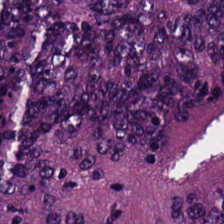Brightfield microscopy. H&E-stained tissue section. Showing tumor epithelium.
